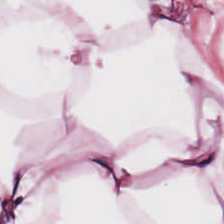H&E — Tissue type — adipose tissue.
